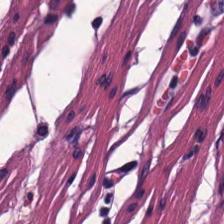H&E-stained tissue section. This patch shows muscularis.
